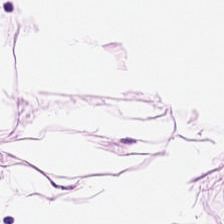0.5 µm per pixel; hematoxylin and eosin — Tissue type: adipose.
